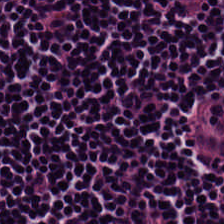Stain: hematoxylin and eosin.
Tile size: 224×224 px tile.
Predominant tissue: lymphocytes.
